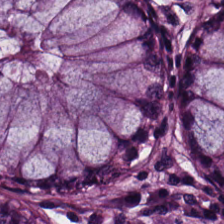0.5 microns per pixel; hematoxylin and eosin; 224×224 px tile.
{"tissue_type": "non-neoplastic colon mucosa"}
